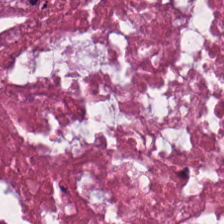Hematoxylin-and-eosin stained section. 224×224 pixel tile. Histology — debris.
